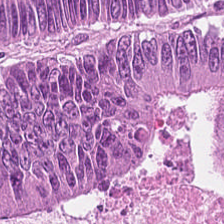Hematoxylin and eosin.
Predominantly colorectal adenocarcinoma epithelium.
